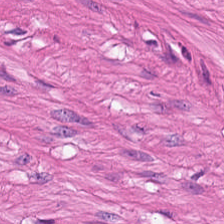Hematoxylin-and-eosin stained section. Showing smooth-muscle tissue.
